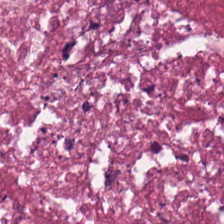224×224 pixel tile · H&E — {"tissue_type": "debris"}
